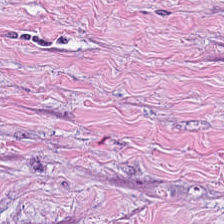Hematoxylin and eosin.
The predominant tissue is tumor-associated stroma.
